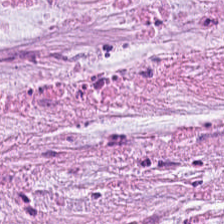H&E stain — The tissue here is extracellular mucin.
